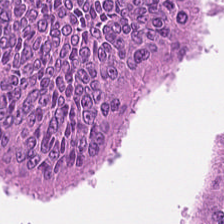H&E · WSI patch. Impression → tumor epithelium.
